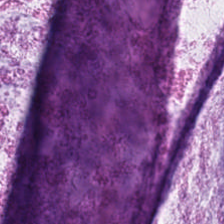Tissue type — mucin.
